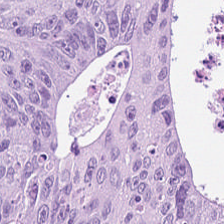Stain: H&E-stained tissue section.
Preparation: formalin-fixed paraffin-embedded section.
Resolution: 0.5 microns per pixel.
Tissue: colorectal adenocarcinoma epithelium.
